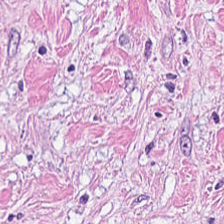H&E-stained tissue section · 0.5 µm/px · brightfield microscopy.
Tissue type — desmoplastic stroma.
